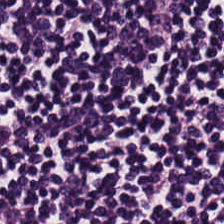0.5 µm/px; H&E stain.
This field is lymphoid infiltrate.
